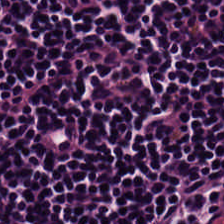Hematoxylin-and-eosin stained section — Q: Classify this patch.
A: It is lymphocytic infiltrate.
